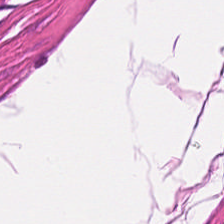Hematoxylin-and-eosin stained section. {"tissue_type": "smooth-muscle tissue"}
